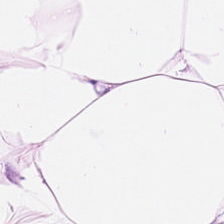Tissue class = adipocytes.
